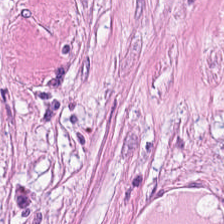Hematoxylin-and-eosin stained section.
Showing tumor-associated stroma.
